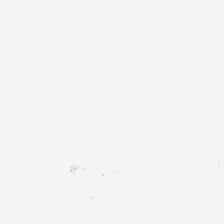0.5 µm per pixel; hematoxylin and eosin; FFPE.
No tissue present; background only.
